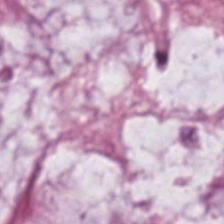Tissue = extracellular mucin.
